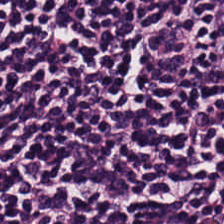Hematoxylin-and-eosin stained section; 224×224 pixel tile — The predominant tissue is lymphocytic infiltrate.
